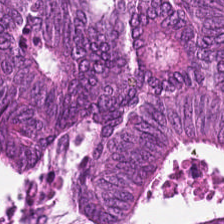Formalin-fixed paraffin-embedded section. H&E stain. The predominant tissue is colorectal adenocarcinoma.
